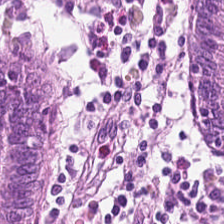Stain: hematoxylin and eosin.
Tissue class: normal colon mucosa.
